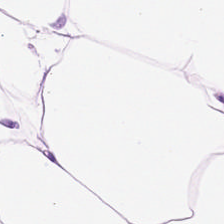H&E stain. Tissue type — adipose tissue.
